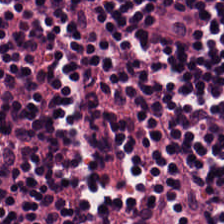Hematoxylin-and-eosin stained section. {"tissue_type": "lymphoid infiltrate"}
